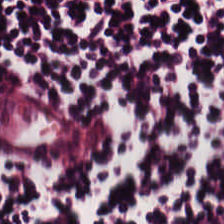Hematoxylin and eosin; 0.5 µm per pixel; FFPE — Q: What tissue type is shown here?
A: The field shows lymphoid infiltrate.
